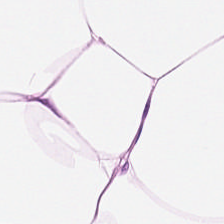Classification = adipocytes.
